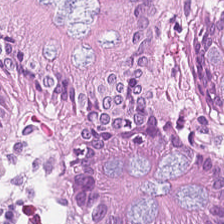Hematoxylin and eosin. The tissue type is benign colonic mucosa.
